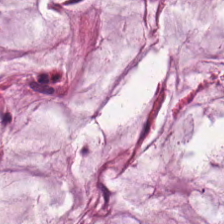H&E stain.
Mucin.
